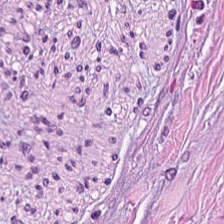0.5 µm/px. 224×224 px tile. Hematoxylin and eosin — Q: What is shown here?
A: The field shows cancer-associated stroma.
